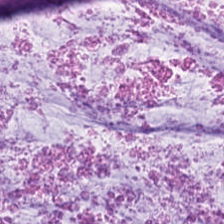Hematoxylin-and-eosin section: mucus.
